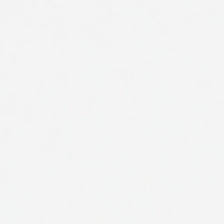Stain: H&E.
Field content: no tissue.
